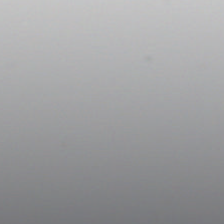H&E stain; WSI patch.
Finding — background (no tissue).
